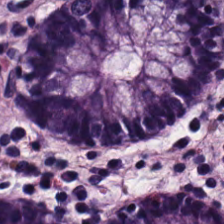The tissue here is normal colon mucosa.
